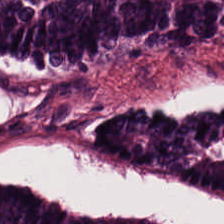Whole-slide-image patch · hematoxylin and eosin · 224×224 pixel tile — Tumor epithelium.
